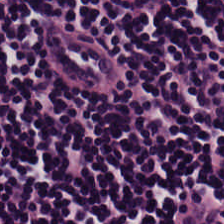Hematoxylin-and-eosin stained section. Finding → lymphocytes.
